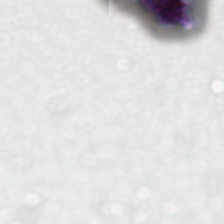Hematoxylin-and-eosin stained section.
{"content": "no tissue"}
